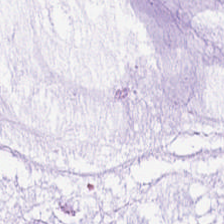Showing mucin.
